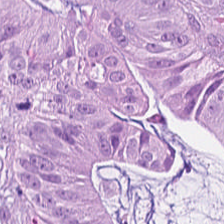Stain: H&E stain.
Tissue class: adenocarcinoma.
